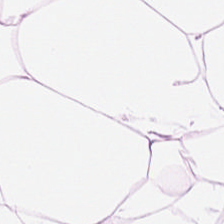Stain: H&E.
Tile size: 224×224 px tile.
Preparation: FFPE.
Tissue: adipose tissue.
